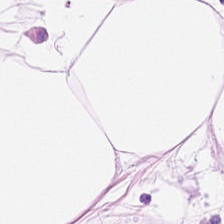Hematoxylin-and-eosin stained section; FFPE tissue section; 224×224 px tile. This patch shows adipose tissue.
